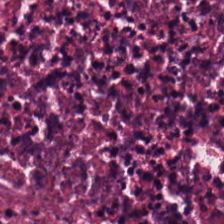H&E-stained tissue section. Predominant tissue — necrotic debris.
